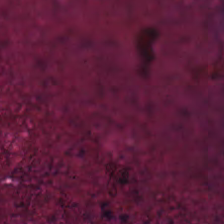224×224 pixel tile · H&E stain — This field is necrotic debris.
